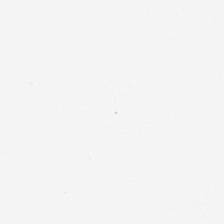Hematoxylin-and-eosin stained section.
Content — background (no tissue).
